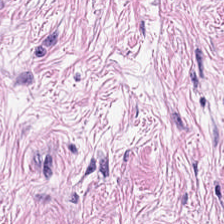H&E. WSI patch. 224×224 px patch. The tissue here is tumor-associated stroma.
